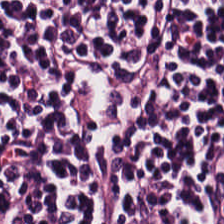H&E stain. FFPE tissue section. Lymphocytes.
